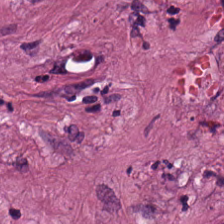H&E-stained tissue section. Q: What tissue is shown?
A: Desmoplastic stroma.
